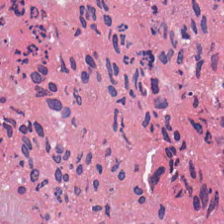H&E · 224×224 px tile — Q: What does this patch show?
A: This is cellular debris.
